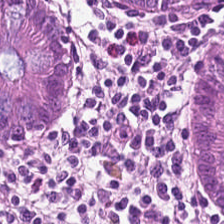Brightfield; hematoxylin-and-eosin stained section; 0.5 microns per pixel.
Classification: non-neoplastic colon mucosa.
